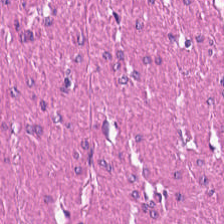H&E stain.
Histology → muscularis.
